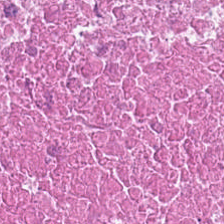H&E stain; 224×224 px patch.
{"tissue_type": "debris"}
